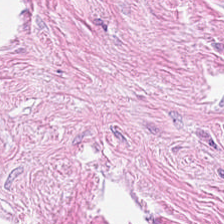H&E-stained tissue section; whole-slide-image patch. Tissue type: desmoplastic stroma.
